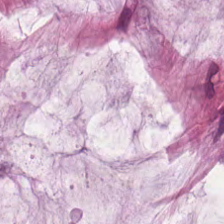H&E stain. Formalin-fixed paraffin-embedded section. Mucus.
